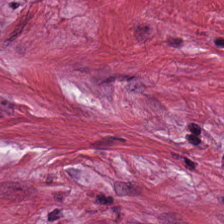H&E stain; 224×224 pixel tile — Showing cancer-associated stroma.
